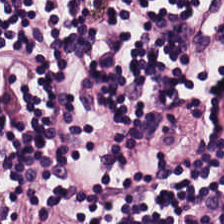H&E-stained section; the field shows lymphocytes.
